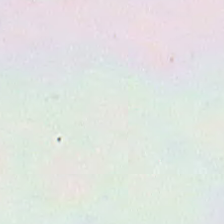FFPE tissue section · 20× equivalent magnification · hematoxylin and eosin. The field content is background.
